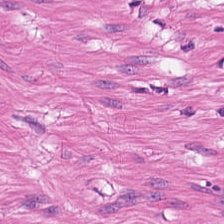Hematoxylin and eosin. This field is smooth-muscle tissue.
